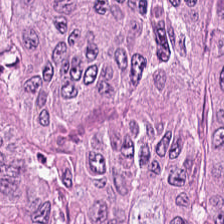Stain: hematoxylin-and-eosin stained section.
Resolution: 20× equivalent magnification.
Acquisition: brightfield microscopy.
Tissue type: colorectal adenocarcinoma.
